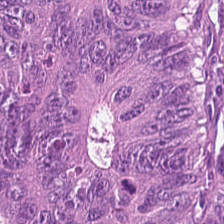FFPE tissue section · H&E · WSI patch.
Impression — colorectal adenocarcinoma epithelium.
